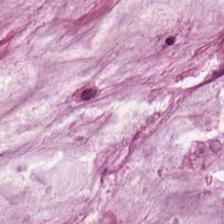Stain: H&E-stained tissue section.
Acquisition: brightfield microscopy.
Tissue class: mucin.
